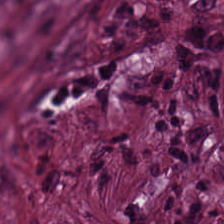FFPE tissue section · hematoxylin-and-eosin stained section — Tissue type — tumor stroma.
